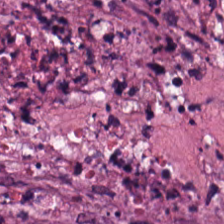H&E. 0.5 µm per pixel. Tissue type — debris.
